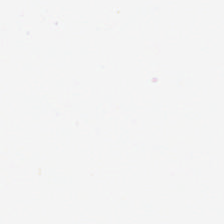H&E-stained tissue section — Impression → no tissue.
